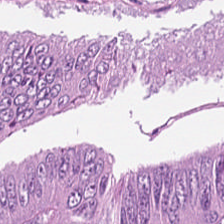The predominant tissue is malignant epithelium.
